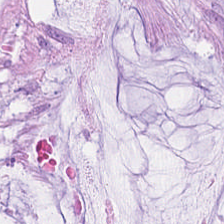Stain: hematoxylin and eosin.
Preparation: FFPE.
Predominant tissue: mucin.
